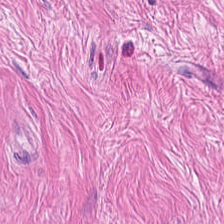Stain: H&E stain.
Tile size: 224×224 px patch.
Tissue: muscularis.
